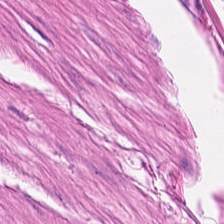H&E-stained tissue section. Q: What does this patch show?
A: It is smooth muscle.
